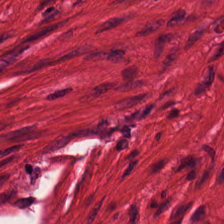Showing muscularis.
